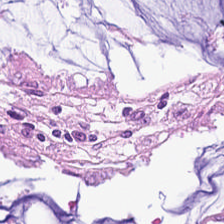Q: Identify the tissue.
A: The field shows non-neoplastic colon mucosa.
